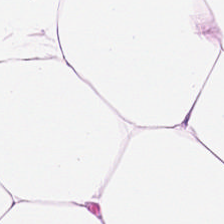H&E. Adipocytes.
